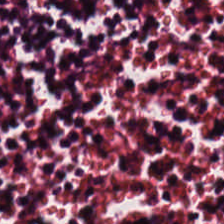H&E.
The predominant tissue is lymphocyte aggregate.
